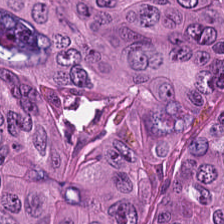Stain: H&E stain.
Classification: adenocarcinoma.
